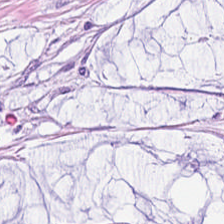Hematoxylin-and-eosin stained section.
Q: What is the predominant tissue type?
A: This is mucin.
